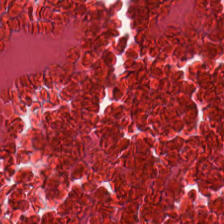H&E — Q: What tissue is shown?
A: The field shows debris.
